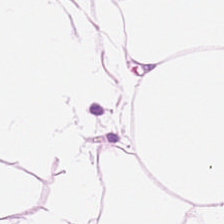Stain: hematoxylin and eosin.
Tissue type: fat tissue.
